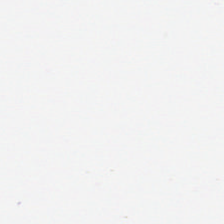H&E. WSI patch.
Finding — background (no tissue).
